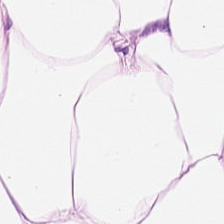Stain: hematoxylin-and-eosin stained section.
Tile size: 224×224 px patch.
Classification: adipose tissue.
